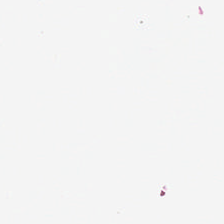Classification — empty background.
